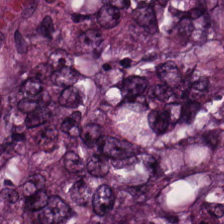Classification: colorectal adenocarcinoma.
